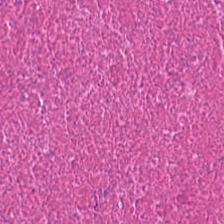Stain: H&E stain.
Tissue class: cellular debris.
